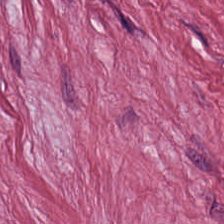224×224 pixel tile · H&E stain · FFPE. Impression — desmoplastic stroma.
